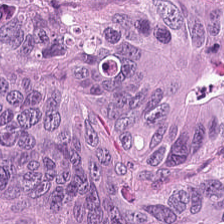Hematoxylin-and-eosin stained section — Classification: malignant epithelium.
